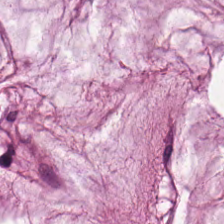H&E stain. Extracellular mucin.
